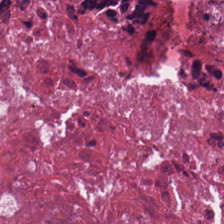Hematoxylin and eosin — Showing necrotic debris.
